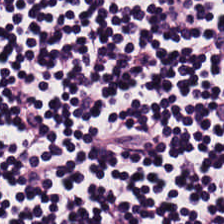Brightfield · 0.5 µm/px · H&E stain.
{"tissue_type": "lymphocytes"}
